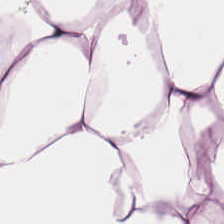Impression — fat tissue.
